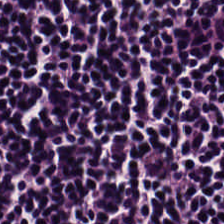H&E — The predominant tissue is lymphocytic infiltrate.
